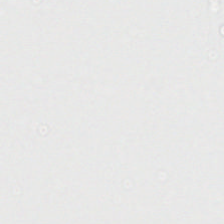Hematoxylin-and-eosin stained section — Background — no tissue in this field.
